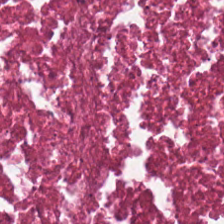H&E-stained tissue section. {"tissue_type": "necrotic debris"}
